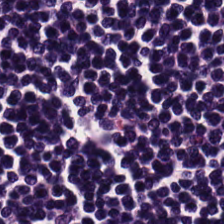H&E-stained tissue section; 0.5 µm/px. Predominantly lymphoid infiltrate.
